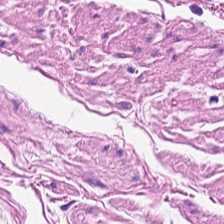WSI patch. H&E stain.
Q: Classify this patch.
A: It is muscularis.
